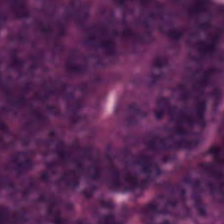Predominantly adenocarcinoma.
